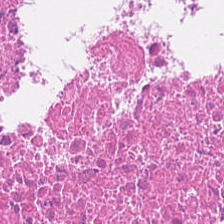Stain: H&E.
Acquisition: whole-slide-image patch.
Predominant tissue: debris.
